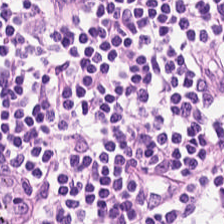Stain: hematoxylin and eosin.
Tissue class: lymphocyte aggregate.
